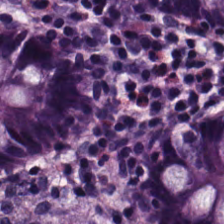FFPE tissue section; brightfield; H&E. Showing non-neoplastic colon mucosa.
